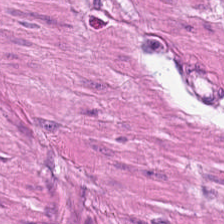Q: Classify this patch.
A: Smooth muscle.
